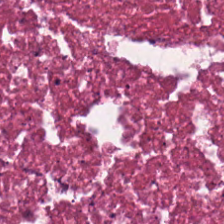H&E-stained tissue section showing debris.
